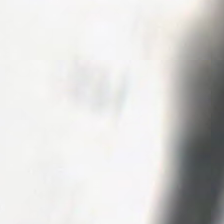H&E stain. FFPE. WSI patch. Classification — background.
